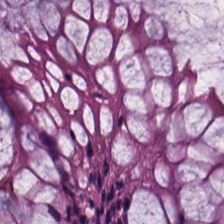H&E stain. The tissue here is benign colonic mucosa.
